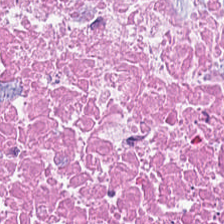Histology → cellular debris.
